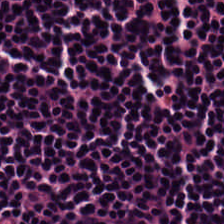FFPE tissue section; H&E stain; 224×224 px tile.
Classification = lymphocyte aggregate.
